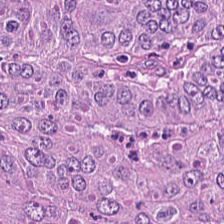H&E — adenocarcinoma.
